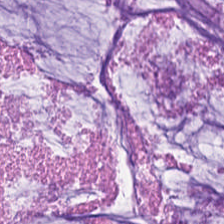Hematoxylin-and-eosin stained section · brightfield microscopy — Predominantly mucin.
